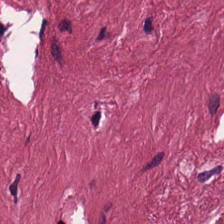Q: What type of tissue is this?
A: Cancer-associated stroma.
